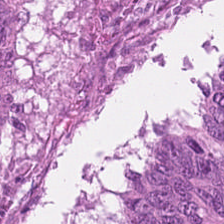Hematoxylin and eosin. The predominant tissue is colorectal adenocarcinoma epithelium.
